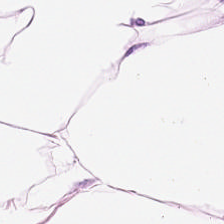Hematoxylin and eosin — Predominant tissue = adipose tissue.
